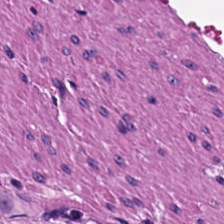H&E — The tissue is smooth-muscle tissue.
